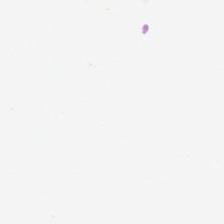Q: What does this patch show?
A: No tissue.
